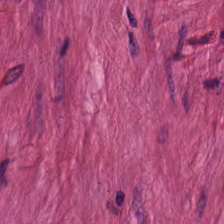H&E.
Smooth-muscle tissue.
